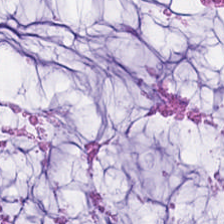H&E stain — This patch shows mucin.
